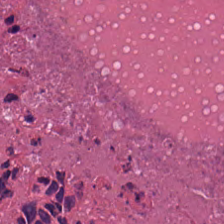Hematoxylin and eosin · 224×224 px tile. Cellular debris.
